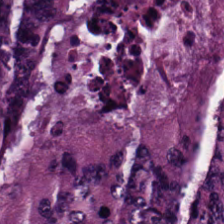Hematoxylin-and-eosin stained section — Q: What is shown in this field?
A: This is tumor epithelium.
